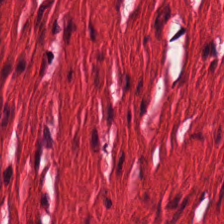Hematoxylin-and-eosin stained section — Predominant tissue = smooth-muscle tissue.
